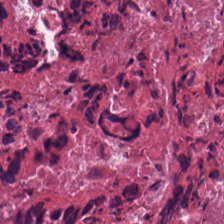H&E stain. 224×224 px patch. 0.5 µm per pixel.
Histology — debris.
